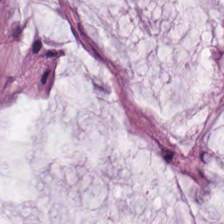FFPE tissue section. H&E-stained tissue section. 224×224 px patch. Q: What is shown here?
A: It is extracellular mucin.
